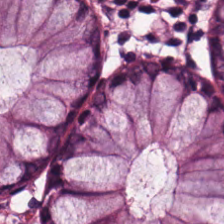This patch shows normal colon mucosa.
